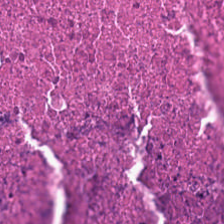Hematoxylin and eosin.
Finding → necrotic debris.
